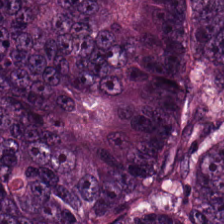Brightfield. Hematoxylin-and-eosin stained section. The tissue here is colorectal adenocarcinoma.
